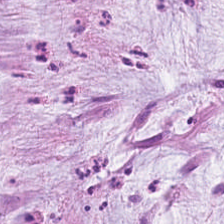Stain: H&E-stained tissue section.
Tissue class: mucus.
